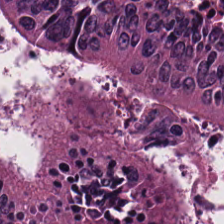Hematoxylin and eosin; 224×224 px patch. Predominant tissue — colorectal adenocarcinoma.
